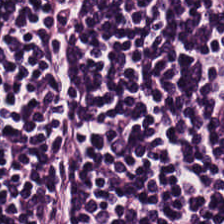H&E stain · 20× equivalent magnification · formalin-fixed paraffin-embedded section. Finding — lymphocytes.
